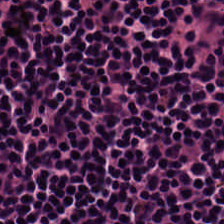Tissue class — lymphocyte aggregate.
